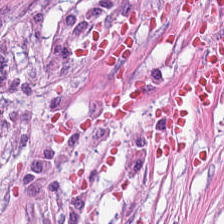FFPE. 224×224 px patch. H&E-stained tissue section. This patch shows tumor-associated stroma.
